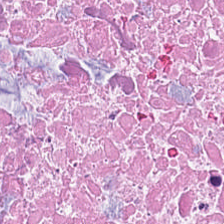H&E — necrotic debris.
